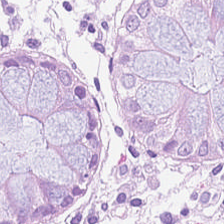Stain: H&E-stained tissue section.
Tissue: non-neoplastic colon mucosa.
